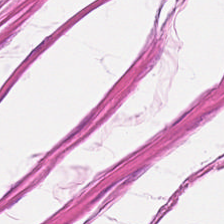Stain: H&E stain.
Predominant tissue: muscularis.
